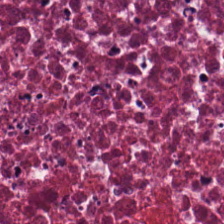H&E-stained tissue section · formalin-fixed paraffin-embedded section — Histology → cellular debris.
